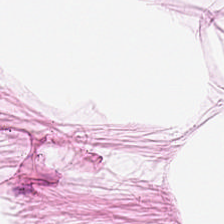H&E. FFPE tissue section. Finding — adipose tissue.
